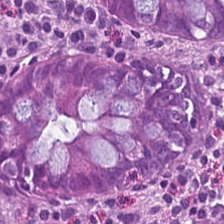Hematoxylin-and-eosin stained section.
Tissue type — normal colon mucosa.
